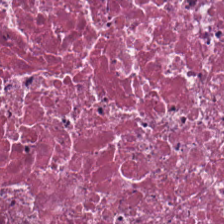H&E stain; 224×224 px patch; 0.5 µm per pixel. Histology — debris.
